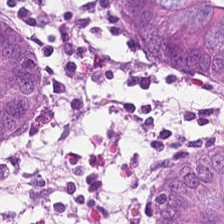Tissue class: normal colonic mucosa.
